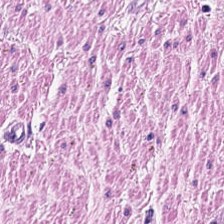Tissue = muscularis.
